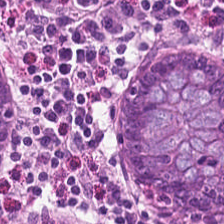H&E · brightfield microscopy. This field is non-neoplastic colon mucosa.
